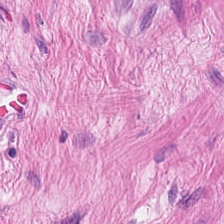H&E stain — Classification = smooth-muscle tissue.
